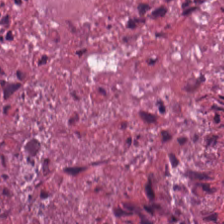H&E-stained tissue section; 20× equivalent magnification.
Q: What tissue is shown?
A: The field shows debris.
